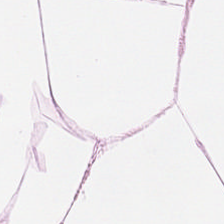This field is adipocytes.
